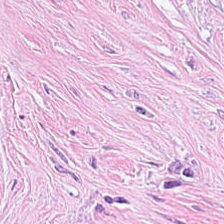Hematoxylin-and-eosin stained section — Tumor stroma.
